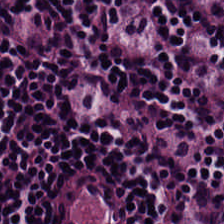224×224 px patch. H&E-stained tissue section. 0.5 µm/px. Predominant tissue — lymphocytes.
